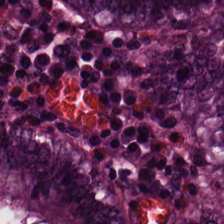20× equivalent magnification · H&E-stained tissue section · whole-slide-image patch — Tissue type = benign colonic mucosa.
